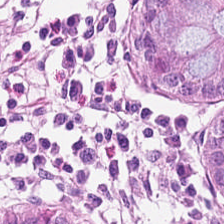Hematoxylin-and-eosin stained section · 20× equivalent magnification · 224×224 pixel tile — Q: Classify this patch.
A: It is non-neoplastic colon mucosa.
